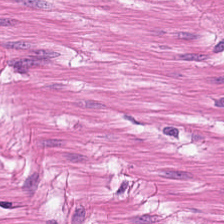Hematoxylin-and-eosin stained section · 224×224 pixel tile — Classification: muscularis.
